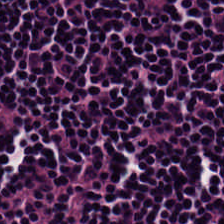H&E-stained tissue section.
The tissue here is lymphocytic infiltrate.
